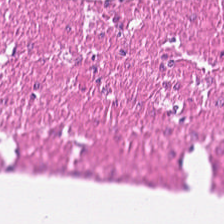Finding → muscularis.
